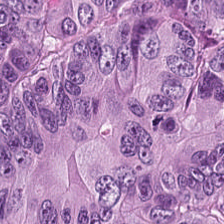Hematoxylin and eosin — This field is colorectal adenocarcinoma epithelium.
